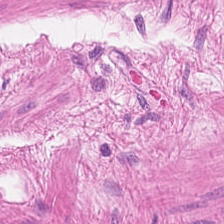WSI patch; H&E stain. Histology → smooth muscle.
